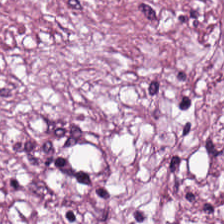224×224 px tile. H&E. 20× equivalent magnification. Q: Identify the tissue.
A: It is tumor-associated stroma.
